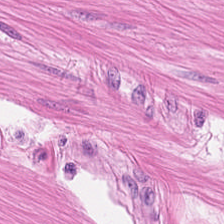Hematoxylin and eosin.
This patch shows smooth muscle.
